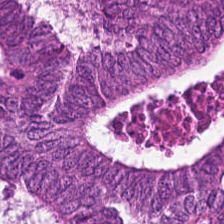Predominantly malignant epithelium.
